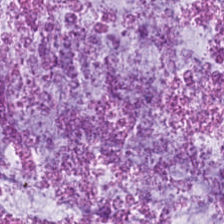Hematoxylin-and-eosin stained section — Histology → extracellular mucin.
